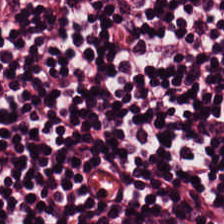Q: What tissue type is shown here?
A: Lymphocytic infiltrate.
